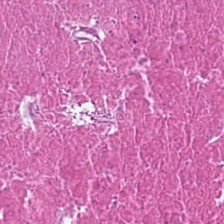Impression → necrotic debris.
